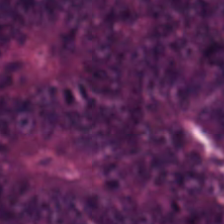H&E-stained tissue section. Impression → malignant epithelium.
